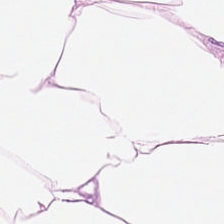Formalin-fixed paraffin-embedded section. 224×224 pixel tile. H&E.
The tissue here is adipocytes.
